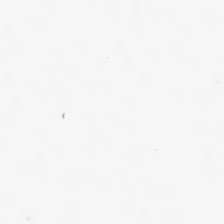Stain: H&E stain.
Preparation: formalin-fixed paraffin-embedded section.
Field content: background.
